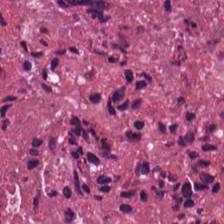H&E-stained tissue section — Predominantly debris.
